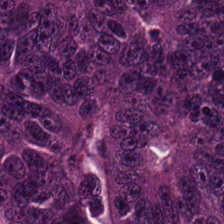H&E stain. The tissue here is malignant epithelium.
